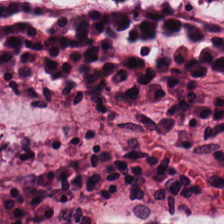Brightfield microscopy · H&E · 0.5 microns per pixel.
Histology → normal colon mucosa.
